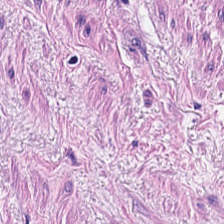H&E-stained tissue section. Tissue type = smooth muscle.
